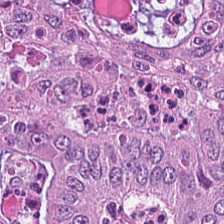0.5 µm/px · hematoxylin and eosin — Q: What type of tissue is this?
A: The field shows malignant epithelium.
